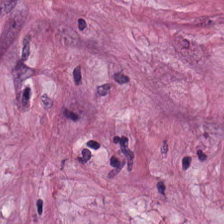H&E-stained tissue section. Predominant tissue — cancer-associated stroma.
